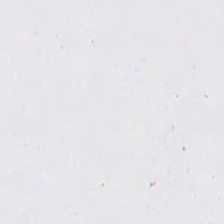H&E — No tissue.
